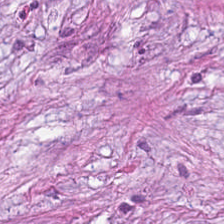H&E-stained tissue section. Showing desmoplastic stroma.
